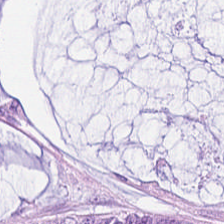224×224 px patch · hematoxylin-and-eosin stained section — Predominant tissue — mucus.
